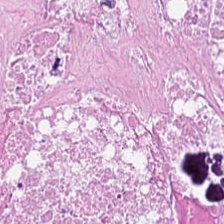Hematoxylin-and-eosin stained section · formalin-fixed paraffin-embedded section — Q: What is shown here?
A: Necrotic debris.
